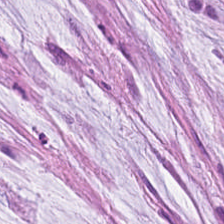H&E — Predominant tissue: mucin.
